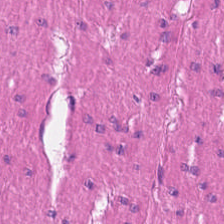H&E — muscularis.
